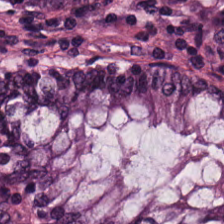H&E-stained tissue section · 224×224 px patch · brightfield microscopy — The tissue type is non-neoplastic colon mucosa.
